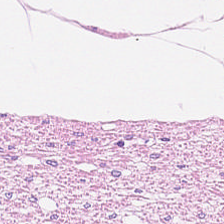Predominant tissue — muscularis.
